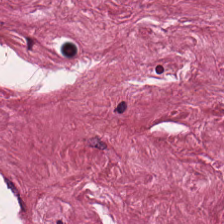H&E-stained tissue section.
This patch shows desmoplastic stroma.
